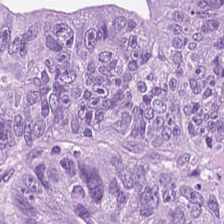H&E stain — Q: What is the predominant tissue type?
A: Adenocarcinoma.
